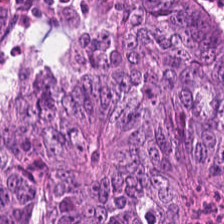The tissue here is colorectal adenocarcinoma.
